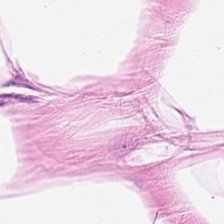Hematoxylin-and-eosin stained section · 224×224 pixel tile · brightfield microscopy.
Showing fat tissue.
